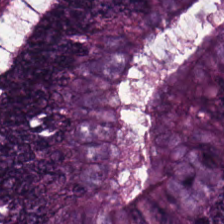H&E-stained tissue section. Q: What tissue is shown?
A: Colorectal adenocarcinoma.
